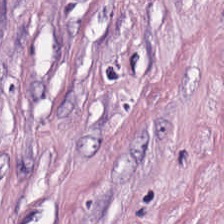Hematoxylin-and-eosin stained section. 224×224 px patch — Showing cancer-associated stroma.
